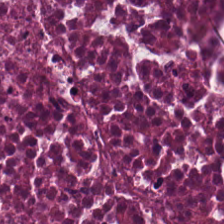H&E stain.
Histology — necrotic debris.
